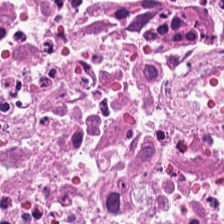Hematoxylin and eosin; brightfield microscopy; 20× equivalent magnification — Tissue type — debris.
